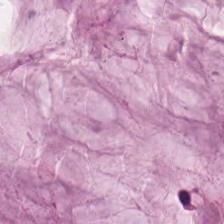The predominant tissue is extracellular mucin.
